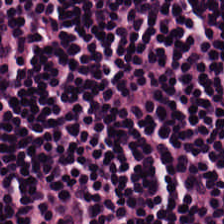Whole-slide-image patch. H&E stain — Histology → lymphoid infiltrate.
